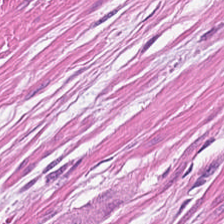H&E stain.
The tissue here is muscularis.
